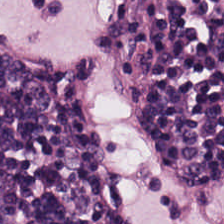{"tissue_type": "lymphoid infiltrate"}
